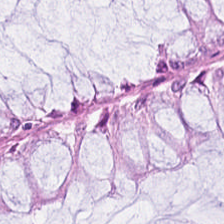H&E-stained tissue section — Q: What tissue is shown?
A: This is benign colonic mucosa.
